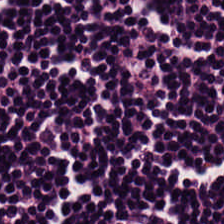Brightfield · hematoxylin-and-eosin stained section.
Tissue class — lymphoid infiltrate.
